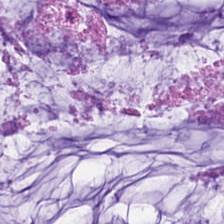Finding — mucus.
